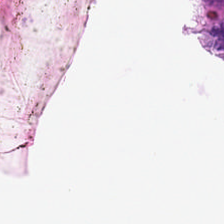H&E. The classification is background (no tissue).
